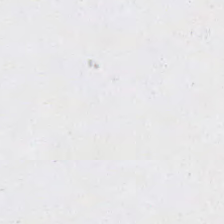H&E stain — This field is background (no tissue).
